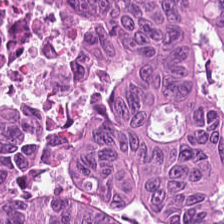0.5 µm per pixel. Hematoxylin-and-eosin stained section — Predominantly colorectal adenocarcinoma epithelium.
